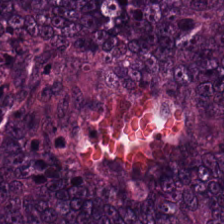Brightfield microscopy · H&E stain. Q: Classify this patch.
A: It is colorectal adenocarcinoma epithelium.
